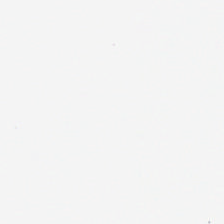0.5 µm/px; FFPE tissue section; hematoxylin and eosin. The classification is background (no tissue).
